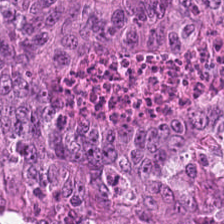H&E stain.
Q: What is shown in this field?
A: The field shows malignant epithelium.
